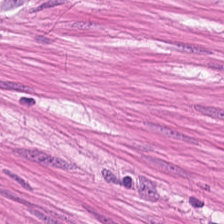Tissue = muscularis.
